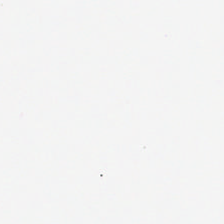Hematoxylin and eosin. Q: What does this patch show?
A: This is background (no tissue).
